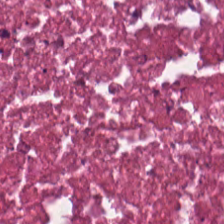H&E.
{"tissue_type": "cellular debris"}
